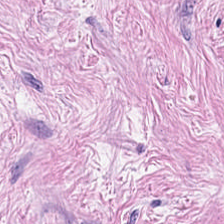H&E-stained tissue section. Tissue class = tumor-associated stroma.
